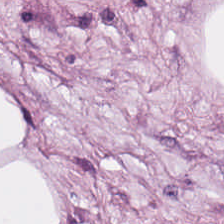224×224 px tile; H&E-stained tissue section — Adipose tissue.
